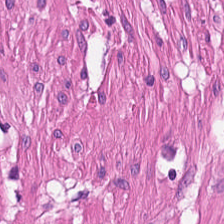0.5 microns per pixel · H&E-stained tissue section. Q: What is shown here?
A: The field shows smooth muscle.
